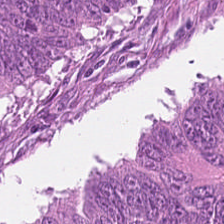H&E; 224×224 px patch — The predominant tissue is malignant epithelium.
